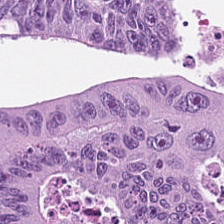Stain: H&E.
Tissue type: colorectal adenocarcinoma epithelium.
